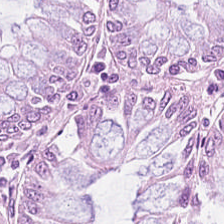Predominant tissue — normal colon mucosa.
